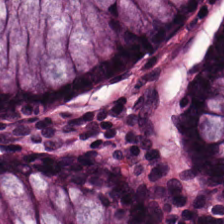H&E-stained tissue section · FFPE.
Classification: non-neoplastic colon mucosa.
